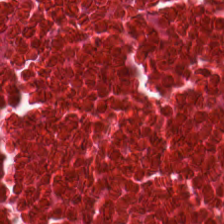Hematoxylin-and-eosin stained section — This patch shows necrotic debris.
